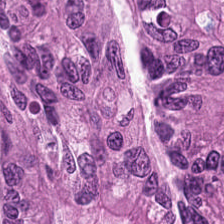Hematoxylin-and-eosin stained section.
The predominant tissue is colorectal adenocarcinoma epithelium.
